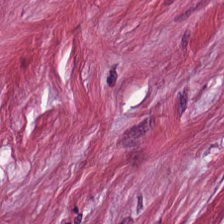Stain: H&E stain.
Tissue class: tumor-associated stroma.
